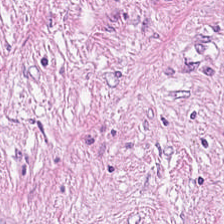224×224 px tile. H&E stain — This field is tumor-associated stroma.
